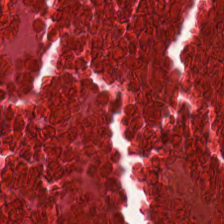Hematoxylin-and-eosin stained section — The classification is cellular debris.
